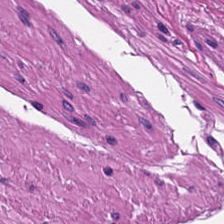WSI patch. H&E stain.
Q: Identify the tissue.
A: Smooth muscle.
